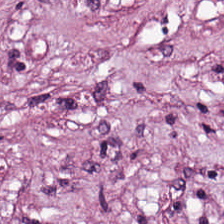FFPE tissue section. Hematoxylin and eosin. 224×224 pixel tile. Predominantly cancer-associated stroma.
